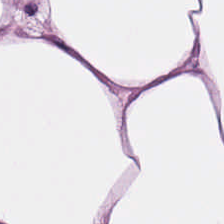H&E stain; FFPE.
Adipocytes.
